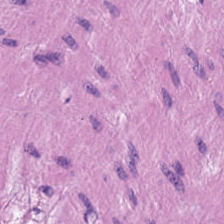H&E patch showing smooth-muscle tissue.
